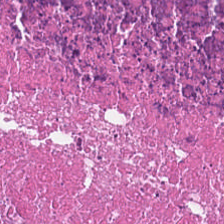0.5 µm per pixel. H&E. Formalin-fixed paraffin-embedded section.
Showing debris.
